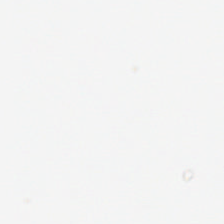Hematoxylin-and-eosin stained section — Background — no tissue in this field.
